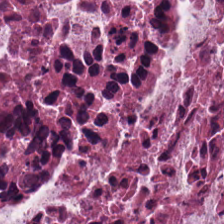0.5 µm/px; H&E. Finding → cellular debris.
